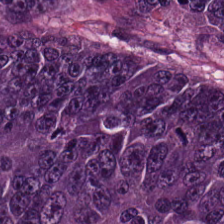Showing malignant epithelium.
